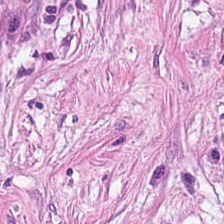Q: Classify this patch.
A: This is tumor-associated stroma.
